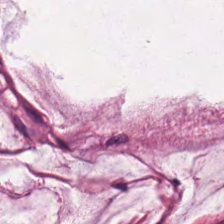{"tissue_type": "extracellular mucin"}
